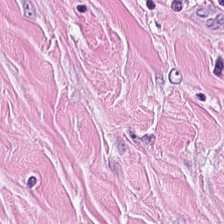H&E stain; whole-slide-image patch.
{"tissue_type": "desmoplastic stroma"}
